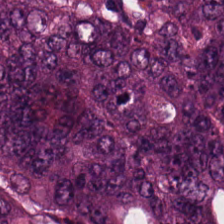Showing colorectal adenocarcinoma.
